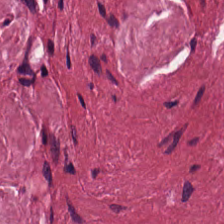The classification is tumor stroma.
